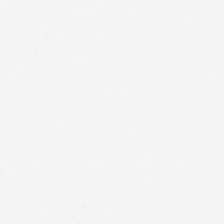Stain: hematoxylin and eosin.
Classification: no tissue.
